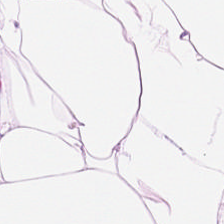H&E.
Q: What tissue is shown?
A: This is adipocytes.
